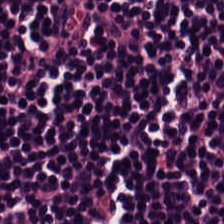Stain: H&E.
Resolution: 0.5 µm per pixel.
Tissue class: lymphocyte aggregate.
